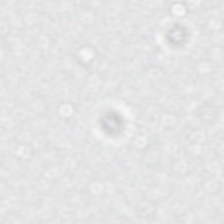224×224 px patch · hematoxylin and eosin · brightfield. {"content": "no tissue"}
